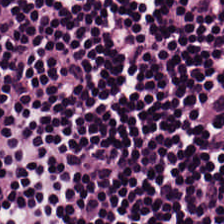H&E — Q: What is the predominant tissue type?
A: Lymphocytes.
